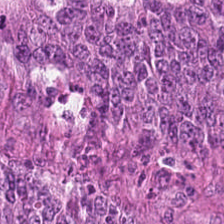H&E stain. Impression — tumor epithelium.
